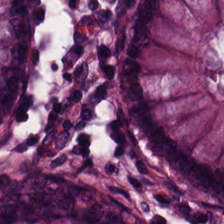H&E — The tissue type is non-neoplastic colon mucosa.
